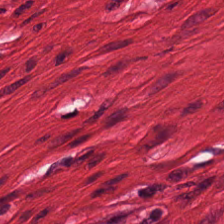H&E. The tissue class is smooth-muscle tissue.
